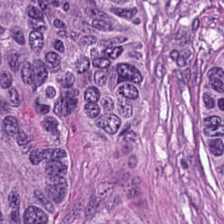Predominant tissue — colorectal adenocarcinoma epithelium.
